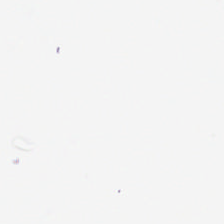Hematoxylin-and-eosin stained section.
Empty field — no tissue.
